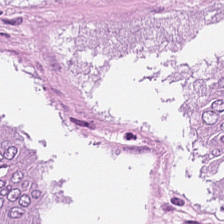H&E-stained tissue section; brightfield. Tissue = adenocarcinoma.
